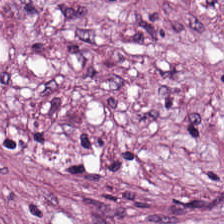H&E.
Predominantly tumor stroma.
